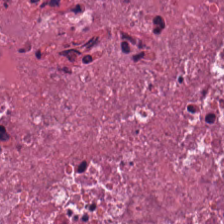FFPE; hematoxylin-and-eosin stained section; 224×224 pixel tile.
This patch shows necrotic debris.
